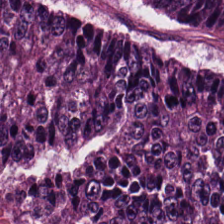Hematoxylin-and-eosin stained section. Brightfield microscopy. Classification = colorectal adenocarcinoma epithelium.
